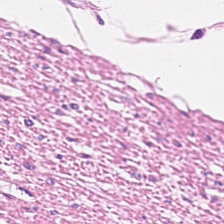Tissue — smooth muscle.
